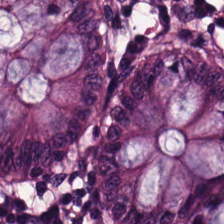Stain: H&E.
Acquisition: WSI patch.
Tissue type: non-neoplastic colon mucosa.
